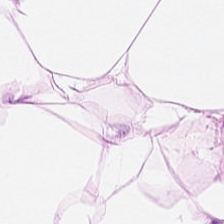H&E; 224×224 pixel tile; formalin-fixed paraffin-embedded section.
Showing adipose.
